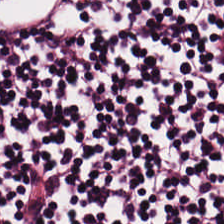Whole-slide-image patch. 224×224 px patch. Hematoxylin-and-eosin stained section. Tissue class — lymphoid infiltrate.
